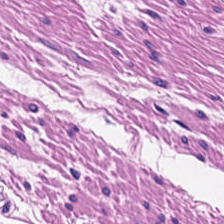Hematoxylin and eosin. The tissue class is smooth-muscle tissue.
